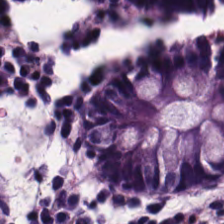Hematoxylin-and-eosin stained section. {"tissue_type": "benign colonic mucosa"}
